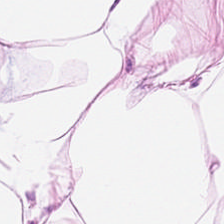Brightfield microscopy; H&E-stained tissue section.
Finding → fat tissue.
